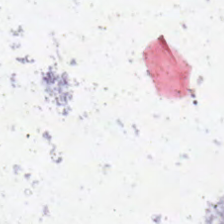H&E. No tissue present; background only.
